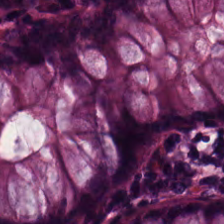Classification = non-neoplastic colon mucosa.
